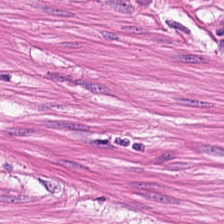The classification is smooth muscle.
